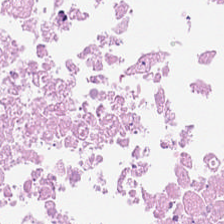Whole-slide-image patch · H&E.
The predominant tissue is debris.
